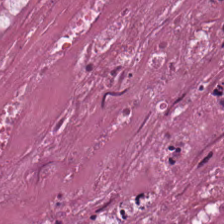H&E stain · formalin-fixed paraffin-embedded section. Tissue type — debris.
